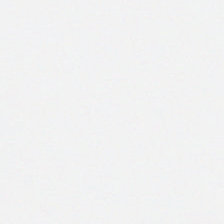Brightfield; H&E; 0.5 µm per pixel.
This patch shows no tissue.
